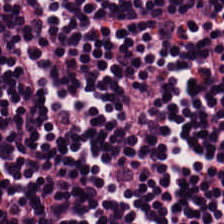Q: What tissue is shown?
A: This is lymphocytic infiltrate.
